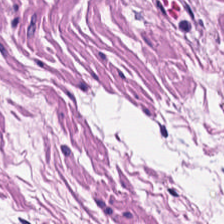Hematoxylin-and-eosin stained section; WSI patch — Q: What is the predominant tissue type?
A: Muscularis.
